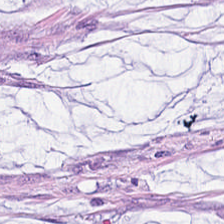Brightfield microscopy · hematoxylin and eosin — {"tissue_type": "mucus"}
